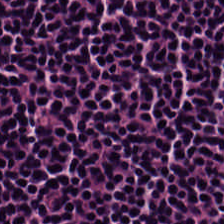Stain: hematoxylin and eosin.
Tissue type: lymphocyte aggregate.
